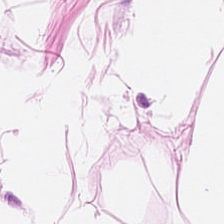0.5 µm per pixel · H&E-stained tissue section. This patch shows adipocytes.
